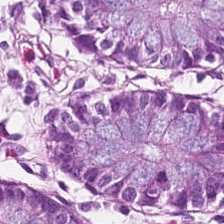Hematoxylin-and-eosin stained section.
The tissue is non-neoplastic colon mucosa.
